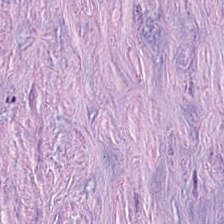Hematoxylin and eosin. The tissue here is tumor stroma.
